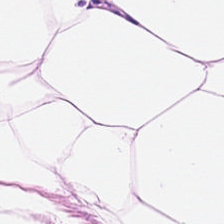H&E stain. Adipose.
